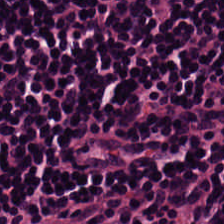H&E-stained tissue section. Q: Classify this patch.
A: Lymphocyte aggregate.
